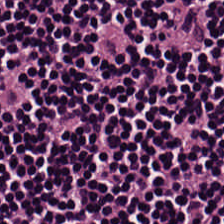The predominant tissue is lymphoid infiltrate.
